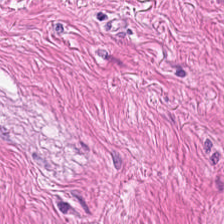FFPE; H&E stain.
This patch shows smooth-muscle tissue.
